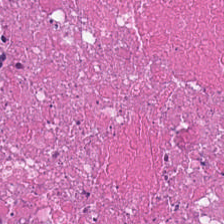Hematoxylin-and-eosin stained section — Predominant tissue — necrotic debris.
